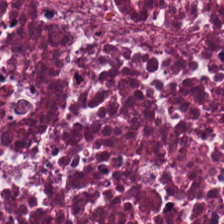Hematoxylin and eosin — Showing cellular debris.
